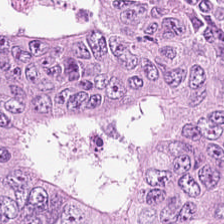H&E; whole-slide-image patch — The tissue is adenocarcinoma.
